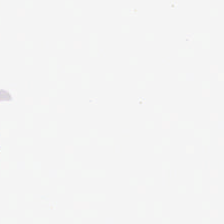Hematoxylin-and-eosin stained section; 224×224 px patch; WSI patch.
Q: What does this patch show?
A: This is no tissue.
